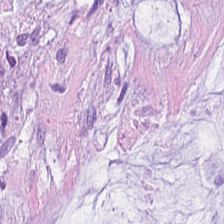Hematoxylin-and-eosin stained section. Tissue = extracellular mucin.
